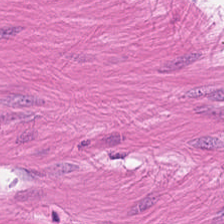Stain: H&E stain.
Acquisition: brightfield.
Tissue class: smooth-muscle tissue.
